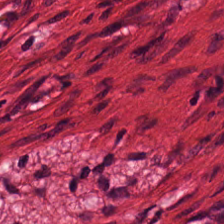Q: Identify the tissue.
A: Smooth muscle.
